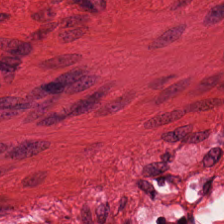Hematoxylin and eosin. Finding → smooth muscle.
